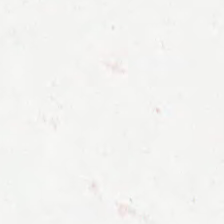WSI patch · formalin-fixed paraffin-embedded section · H&E-stained tissue section. Empty background.
